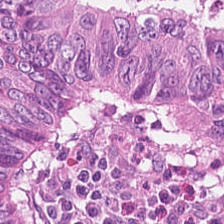Q: What tissue type is shown here?
A: Adenocarcinoma.
